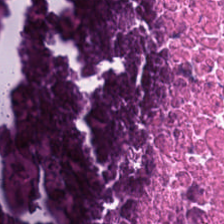224×224 px patch · H&E stain.
Tissue type: debris.
